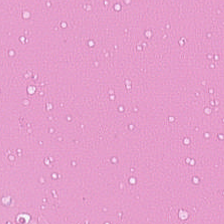20× equivalent magnification · brightfield microscopy · hematoxylin-and-eosin stained section. Tissue type: cellular debris.
